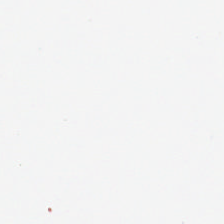224×224 pixel tile. H&E-stained tissue section — Q: What does this patch show?
A: The field shows background (no tissue).
